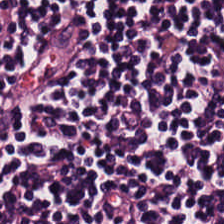Q: What type of tissue is this?
A: Lymphoid infiltrate.
